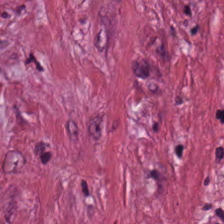H&E; 0.5 µm/px; brightfield microscopy.
Tissue class = desmoplastic stroma.
